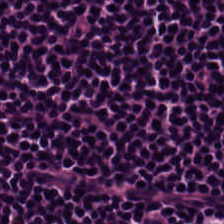Stain: hematoxylin-and-eosin stained section.
Predominant tissue: lymphocyte aggregate.
